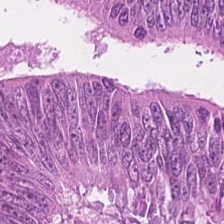Stain: H&E.
Tissue class: adenocarcinoma.
